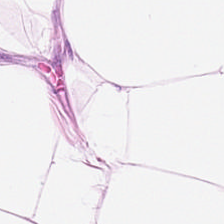Hematoxylin-and-eosin stained section.
Predominant tissue = adipose tissue.
